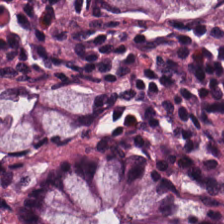0.5 microns per pixel. H&E-stained tissue section.
This field is normal colon mucosa.
